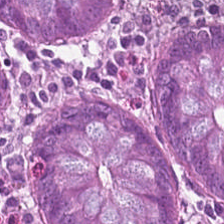H&E.
The tissue type is normal colon mucosa.
